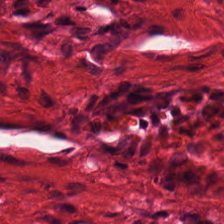Hematoxylin and eosin.
{"tissue_type": "smooth muscle"}
